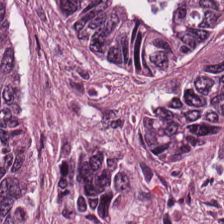WSI patch · formalin-fixed paraffin-embedded section · H&E-stained tissue section. The predominant tissue is colorectal adenocarcinoma.
